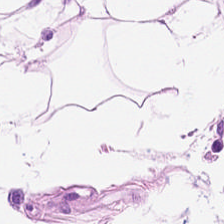H&E stain. Showing adipose tissue.
